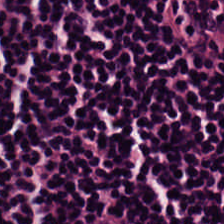H&E patch showing lymphocyte aggregate.
